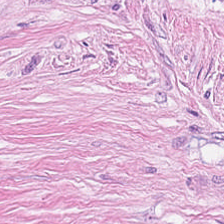0.5 microns per pixel. Hematoxylin-and-eosin stained section — This patch shows tumor-associated stroma.
